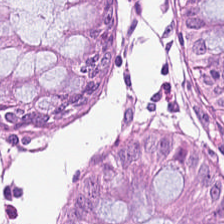H&E-stained tissue section · FFPE.
Predominantly normal colon mucosa.
